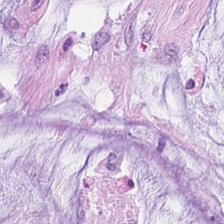H&E-stained tissue section — Finding — extracellular mucin.
